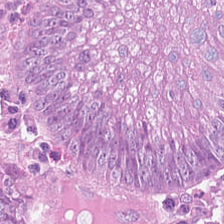H&E. Impression → colorectal adenocarcinoma epithelium.
